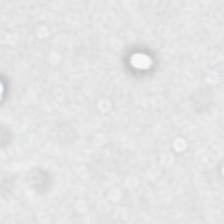Hematoxylin and eosin. Q: What is shown in this field?
A: It is no tissue.
